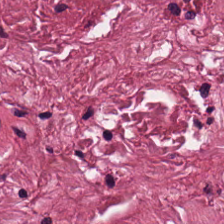Predominantly tumor-associated stroma.
